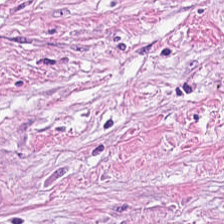224×224 pixel tile. Hematoxylin-and-eosin stained section. FFPE tissue section — Q: What is shown here?
A: Tumor-associated stroma.
